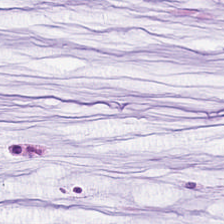Hematoxylin-and-eosin stained section. The tissue class is extracellular mucin.
